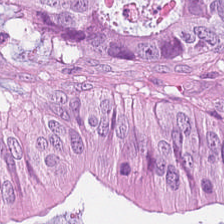H&E stain. 224×224 px tile. Predominantly malignant epithelium.
